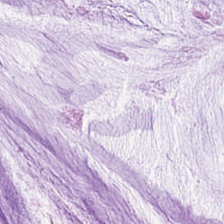H&E stain. {"tissue_type": "mucin"}
